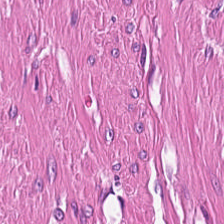0.5 µm/px. Hematoxylin and eosin. Brightfield microscopy. Tissue — muscularis.
